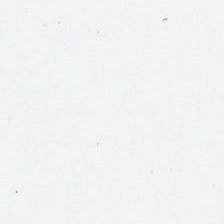H&E stain — Q: What does this patch show?
A: This is background.
